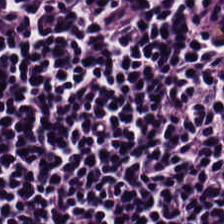H&E-stained tissue section. Tissue — lymphocyte aggregate.
